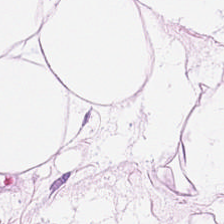H&E — adipocytes.
